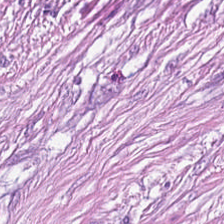H&E stain; 0.5 microns per pixel — The predominant tissue is tumor-associated stroma.
